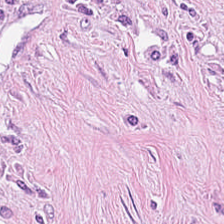Tumor stroma.
